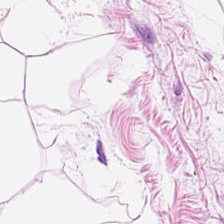Hematoxylin-and-eosin stained section.
The tissue here is adipose.
